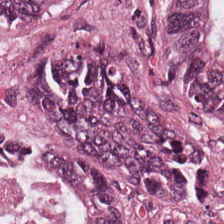H&E-stained tissue section; brightfield. Predominantly malignant epithelium.
